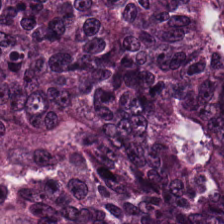Hematoxylin-and-eosin stained section. Q: What tissue type is shown here?
A: It is colorectal adenocarcinoma.
